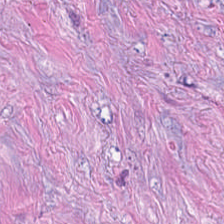Hematoxylin-and-eosin stained section. Q: What is shown in this field?
A: Tumor-associated stroma.
